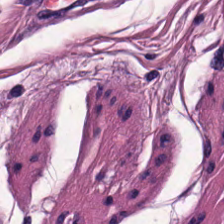H&E.
Q: What tissue is shown?
A: The field shows muscularis.
